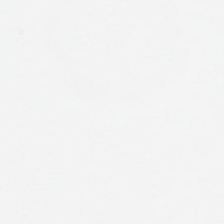Hematoxylin and eosin — Q: What is shown here?
A: This is background (no tissue).
